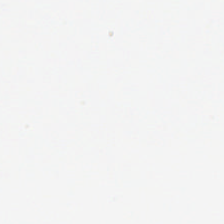H&E-stained tissue section. Q: Classify this patch.
A: This is empty background.
